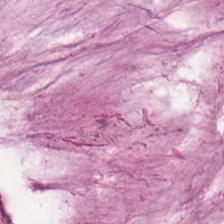Hematoxylin-and-eosin stained section; formalin-fixed paraffin-embedded section; 20× equivalent magnification.
Classification = mucin.
